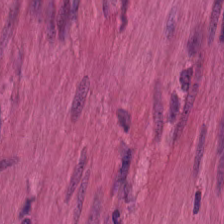Predominantly smooth muscle.
